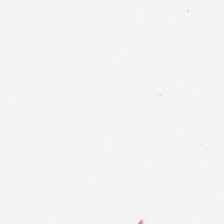Impression — background.
